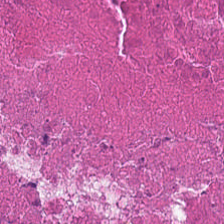FFPE. H&E.
Finding — necrotic debris.
